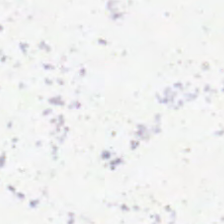Hematoxylin-and-eosin stained section. The classification is empty background.
